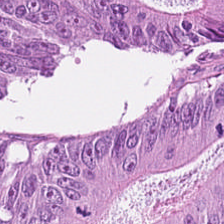H&E. This field is adenocarcinoma.
